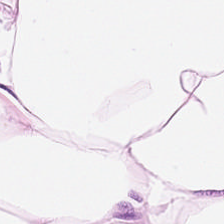224×224 pixel tile; hematoxylin-and-eosin stained section. Tissue class — adipocytes.
